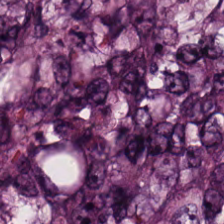20× equivalent magnification; H&E-stained tissue section; FFPE.
The tissue type is adenocarcinoma.
